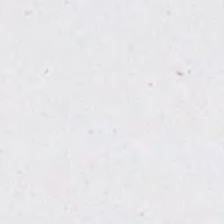H&E stain — This field is background (no tissue).
